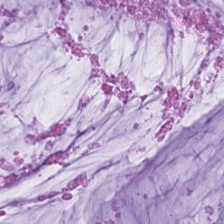H&E-stained tissue section. Brightfield microscopy.
Q: Identify the tissue.
A: This is mucin.
